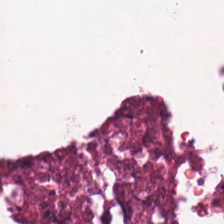0.5 µm per pixel; H&E stain — Classification — debris.
